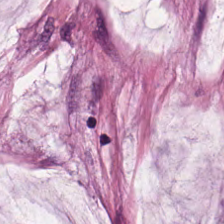H&E. The predominant tissue is mucus.
